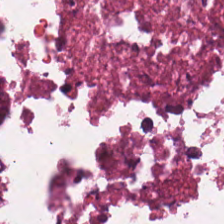H&E. Histology — necrotic debris.
